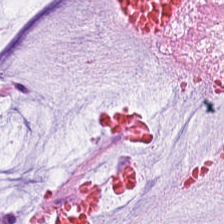Stain: H&E stain.
Resolution: 0.5 µm per pixel.
Predominant tissue: extracellular mucin.
